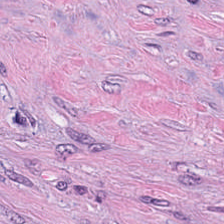Hematoxylin and eosin.
This patch shows tumor-associated stroma.
